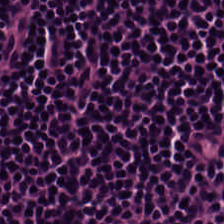H&E stain — The predominant tissue is lymphoid infiltrate.
